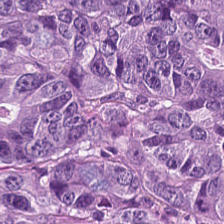224×224 px tile; H&E-stained tissue section. Tumor epithelium.
